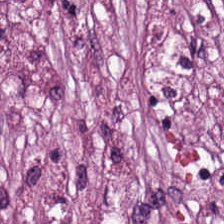H&E-stained tissue section · 224×224 px patch.
Q: What is shown here?
A: It is cancer-associated stroma.
